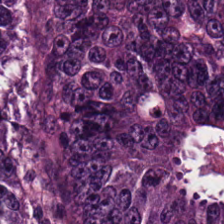Formalin-fixed paraffin-embedded section. Hematoxylin and eosin.
Tissue class = tumor epithelium.
